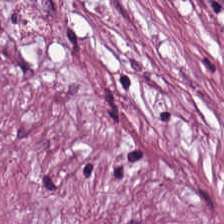The tissue class is cancer-associated stroma.
